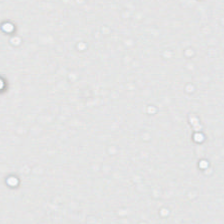224×224 px patch. H&E. WSI patch. No tissue present; background only.
